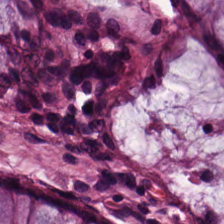Brightfield. H&E-stained tissue section. This field is benign colonic mucosa.
